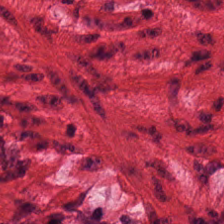Formalin-fixed paraffin-embedded section · H&E stain — The tissue type is smooth-muscle tissue.
